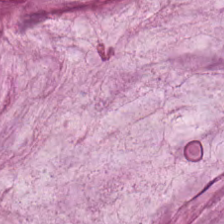Stain: H&E.
Tissue class: mucin.
